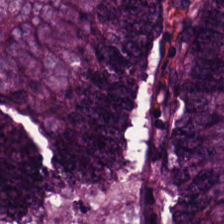H&E stain.
The predominant tissue is colorectal adenocarcinoma.
